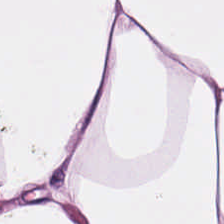0.5 µm/px; hematoxylin and eosin.
Tissue: adipose tissue.
